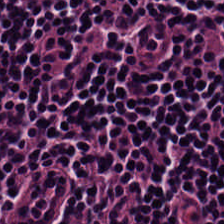H&E stain · 224×224 px tile.
Showing lymphocyte aggregate.
